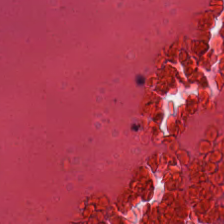Hematoxylin and eosin — Q: Classify this patch.
A: This is necrotic debris.
